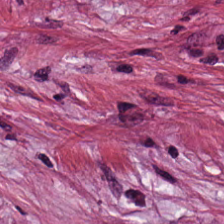H&E — cancer-associated stroma.
